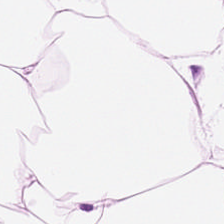H&E-stained tissue section · 224×224 px tile — Showing fat tissue.
